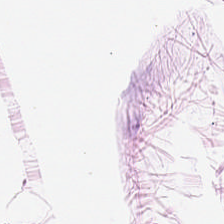Stain: H&E.
Predominant tissue: adipose.
